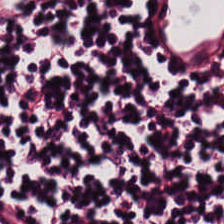H&E-stained tissue section.
This patch shows lymphocytes.
